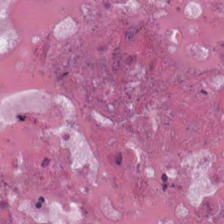Hematoxylin-and-eosin stained section. Q: What type of tissue is this?
A: Necrotic debris.
